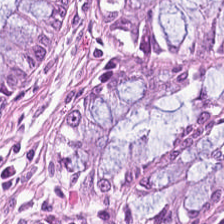Stain: hematoxylin-and-eosin stained section.
Preparation: formalin-fixed paraffin-embedded section.
Acquisition: brightfield microscopy.
Tissue type: benign colonic mucosa.
